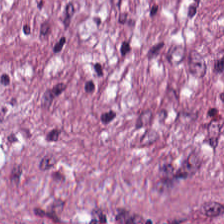Stain: H&E stain.
Tile size: 224×224 pixel tile.
Resolution: 0.5 µm/px.
Predominant tissue: cancer-associated stroma.
